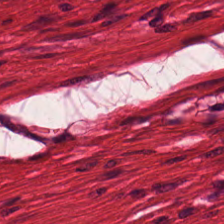Hematoxylin and eosin — The tissue here is muscularis.
